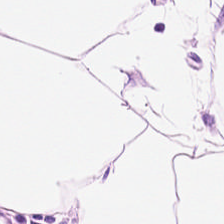H&E.
Predominant tissue = adipose tissue.
